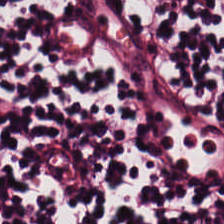Hematoxylin and eosin. Whole-slide-image patch — The tissue here is lymphoid infiltrate.
